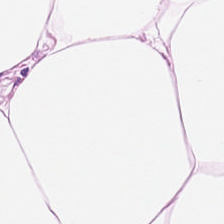FFPE tissue section · H&E-stained tissue section.
Q: What does this patch show?
A: The field shows adipose.
